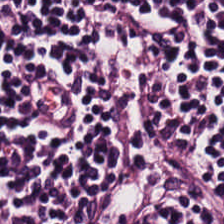Hematoxylin-and-eosin stained section. This field is lymphoid infiltrate.
